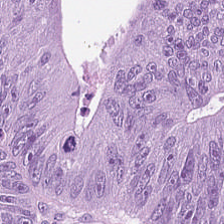H&E-stained tissue section. The tissue here is colorectal adenocarcinoma.
